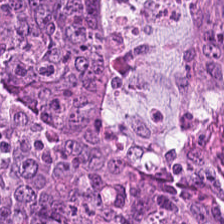Hematoxylin and eosin.
Showing adenocarcinoma.
